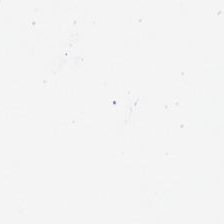Q: What is shown here?
A: The field shows empty background.
